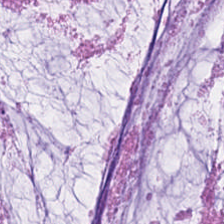Stain: H&E-stained tissue section.
Preparation: FFPE tissue section.
Tissue: mucus.
